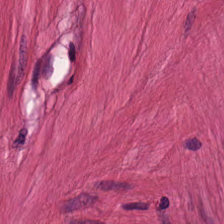WSI patch; hematoxylin and eosin. The tissue is smooth muscle.
